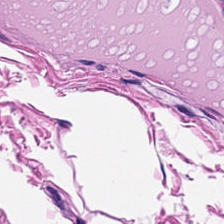Brightfield microscopy · H&E.
This patch shows muscularis.
